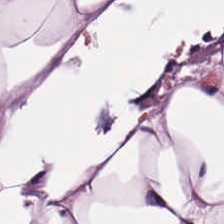Stain: hematoxylin-and-eosin stained section.
Tissue class: fat tissue.
